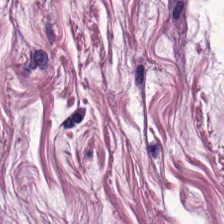Hematoxylin and eosin.
Finding — muscularis.
